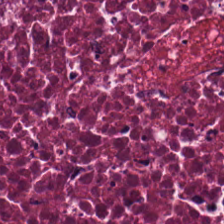Stain: hematoxylin-and-eosin stained section.
Tile size: 224×224 px tile.
Preparation: FFPE.
Tissue: debris.
